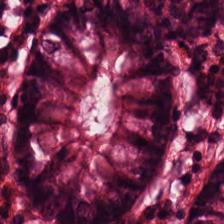The predominant tissue is normal colonic mucosa.
